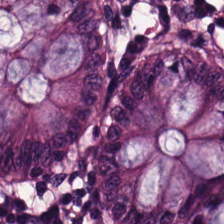Hematoxylin and eosin. 0.5 microns per pixel.
The classification is normal colon mucosa.
